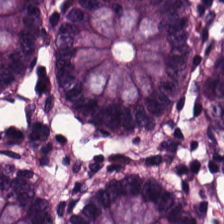Whole-slide-image patch. H&E-stained tissue section. Classification — non-neoplastic colon mucosa.
